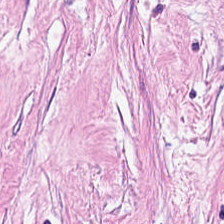H&E. Histology — tumor-associated stroma.
